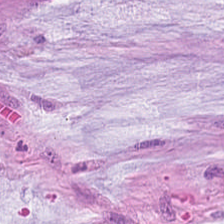Stain: H&E.
Preparation: formalin-fixed paraffin-embedded section.
Tissue class: extracellular mucin.
